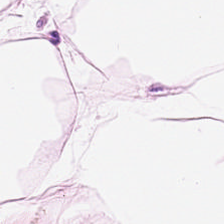Impression → adipocytes.
